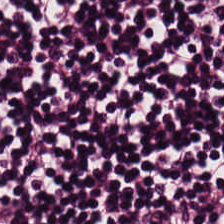Hematoxylin-and-eosin stained section.
Lymphocytes.
